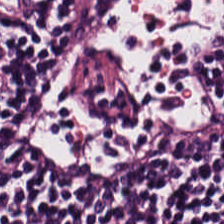Stain: H&E stain.
Acquisition: whole-slide-image patch.
Tissue: lymphocyte aggregate.
